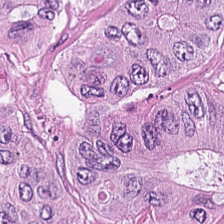Stain: hematoxylin-and-eosin stained section.
Resolution: 0.5 µm per pixel.
Tissue class: adenocarcinoma.
